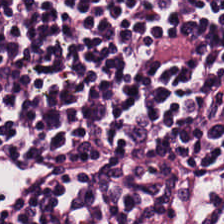The tissue here is lymphoid infiltrate.
